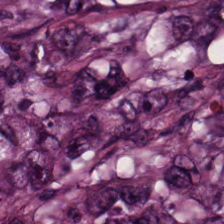H&E.
This patch shows adenocarcinoma.
